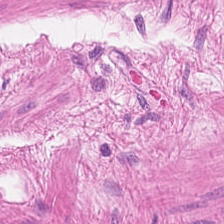Brightfield microscopy; H&E stain — Histology → muscularis.
